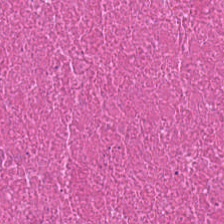H&E — The predominant tissue is cellular debris.
